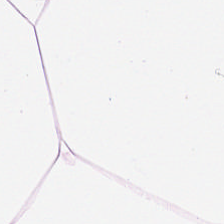Hematoxylin and eosin; FFPE. The predominant tissue is adipose.
